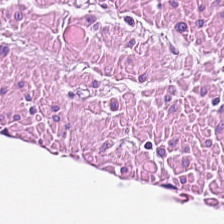Q: Classify this patch.
A: Smooth muscle.
